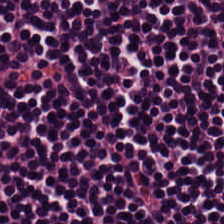The predominant tissue is lymphoid infiltrate.
